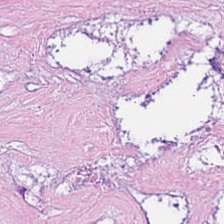H&E-stained tissue section.
{"tissue_type": "necrotic debris"}
